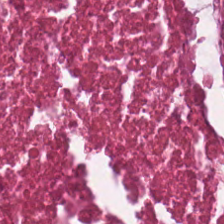H&E stain. 224×224 pixel tile.
This patch shows cellular debris.
